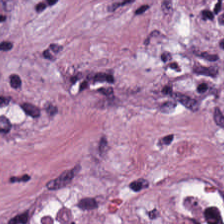Hematoxylin-and-eosin stained section. WSI patch. 20× equivalent magnification — {"tissue_type": "cancer-associated stroma"}
